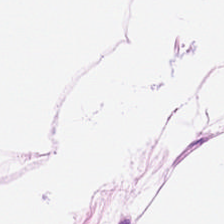Hematoxylin-and-eosin stained section · FFPE tissue section · 224×224 pixel tile. {"tissue_type": "adipose"}
